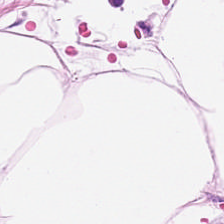H&E; FFPE tissue section. This patch shows adipocytes.
